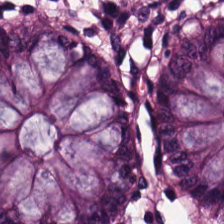Stain: H&E stain.
Preparation: formalin-fixed paraffin-embedded section.
Classification: benign colonic mucosa.
